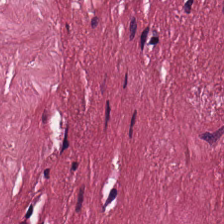FFPE tissue section · 0.5 µm/px · H&E.
Q: What is the predominant tissue type?
A: It is tumor stroma.
